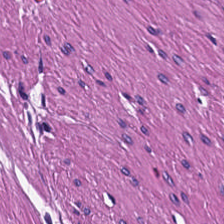Classification — smooth muscle.
